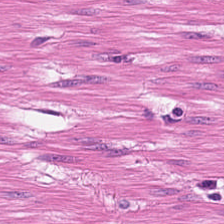0.5 µm per pixel; H&E-stained tissue section — Histology — smooth muscle.
